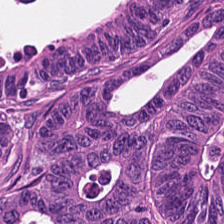Formalin-fixed paraffin-embedded section; hematoxylin and eosin — The predominant tissue is malignant epithelium.
